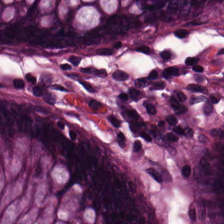Tissue: benign colonic mucosa.
